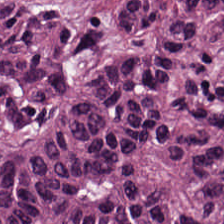Hematoxylin-and-eosin stained section. Q: What is the predominant tissue type?
A: This is colorectal adenocarcinoma.
